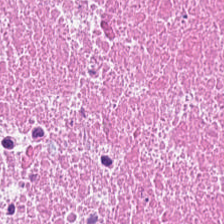Formalin-fixed paraffin-embedded section; hematoxylin and eosin.
Q: What tissue type is shown here?
A: The field shows debris.
